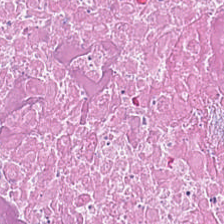Hematoxylin and eosin; FFPE.
Q: Classify this patch.
A: The field shows necrotic debris.
